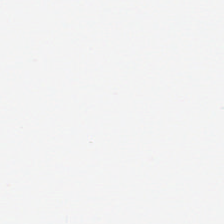H&E.
Field content — background (no tissue).
